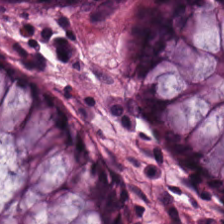Stain: H&E-stained tissue section.
Tissue: normal colonic mucosa.
